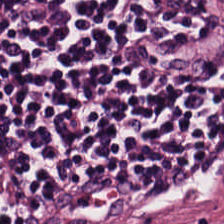0.5 µm per pixel; H&E-stained tissue section; whole-slide-image patch.
Tissue type: lymphocytic infiltrate.
